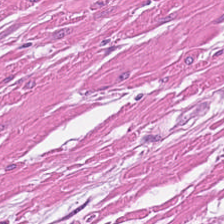Muscularis.
